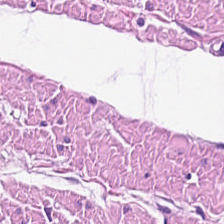Hematoxylin and eosin — This patch shows smooth-muscle tissue.
